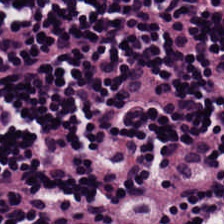H&E · FFPE — The tissue is lymphocyte aggregate.
